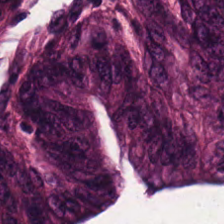Hematoxylin-and-eosin stained section; 224×224 px tile — Tumor epithelium.
